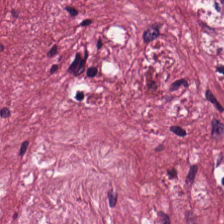Hematoxylin-and-eosin stained section — Tissue class — desmoplastic stroma.
